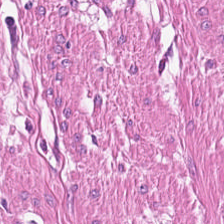Classification — smooth-muscle tissue.
